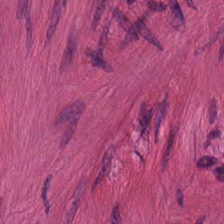224×224 px patch; hematoxylin and eosin; FFPE. Finding → muscularis.
